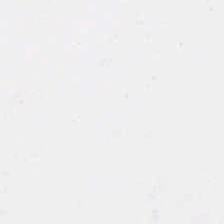H&E; 20× equivalent magnification; brightfield — Histology — background.
